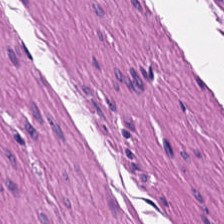Q: What does this patch show?
A: The field shows muscularis.
